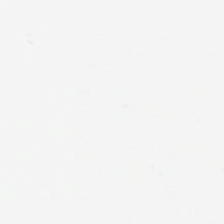224×224 px tile · 20× equivalent magnification · H&E. Finding → background.
